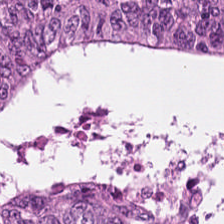Hematoxylin and eosin. 224×224 px patch. Q: What is shown in this field?
A: This is malignant epithelium.
